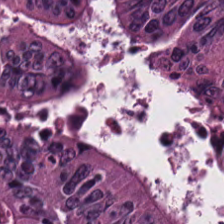H&E-stained section; the field shows colorectal adenocarcinoma.
